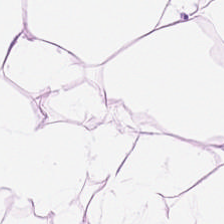Hematoxylin and eosin · formalin-fixed paraffin-embedded section. {"tissue_type": "fat tissue"}
